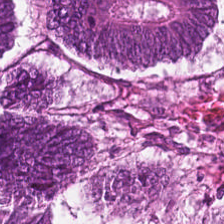Formalin-fixed paraffin-embedded section · H&E-stained tissue section. Colorectal adenocarcinoma.
